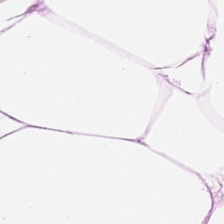H&E — {"tissue_type": "adipose tissue"}
